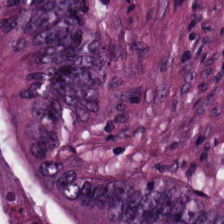H&E — Q: What is the predominant tissue type?
A: This is malignant epithelium.
